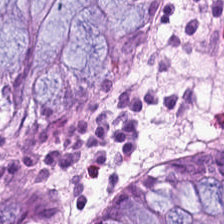Hematoxylin and eosin — This patch shows normal colonic mucosa.
